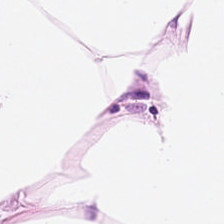0.5 microns per pixel; hematoxylin-and-eosin stained section; whole-slide-image patch.
Predominantly adipocytes.
